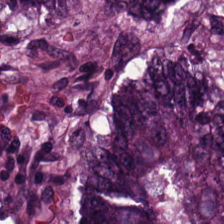H&E stain. The tissue here is colorectal adenocarcinoma.
